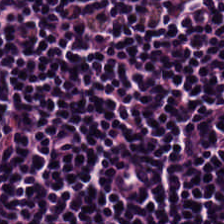Hematoxylin-and-eosin stained section; formalin-fixed paraffin-embedded section; brightfield.
The tissue here is lymphocyte aggregate.
